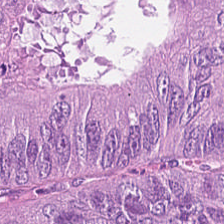Stain: hematoxylin and eosin.
Tile size: 224×224 px tile.
Classification: malignant epithelium.
